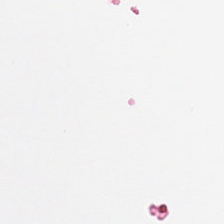Q: What is shown in this field?
A: Empty background.
